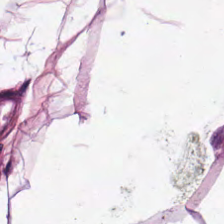Formalin-fixed paraffin-embedded section; H&E — Classification = fat tissue.
